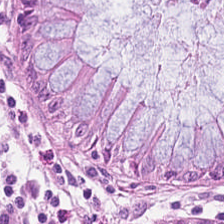H&E stain — The predominant tissue is normal colon mucosa.
